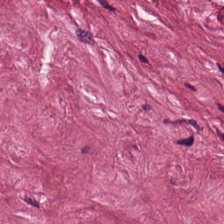H&E stain · formalin-fixed paraffin-embedded section — This field is tumor-associated stroma.
